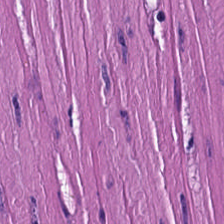Hematoxylin-and-eosin stained section — Showing muscularis.
